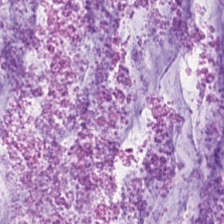0.5 microns per pixel. H&E-stained tissue section. Showing mucus.
